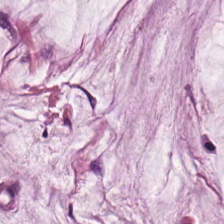Tissue type — mucin.
